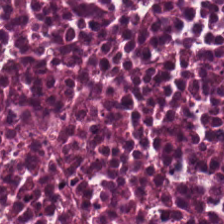0.5 µm per pixel; FFPE tissue section; hematoxylin and eosin. Tissue class = necrotic debris.
